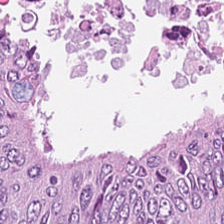H&E-stained tissue section — Predominant tissue = colorectal adenocarcinoma.
